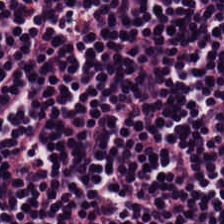H&E stain · brightfield microscopy · 20× equivalent magnification. Finding → lymphocyte aggregate.
